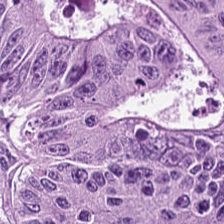0.5 µm/px; FFPE tissue section; hematoxylin-and-eosin stained section.
Malignant epithelium.
